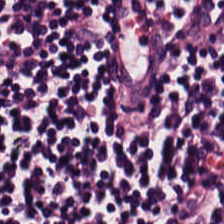H&E.
This field is lymphoid infiltrate.
